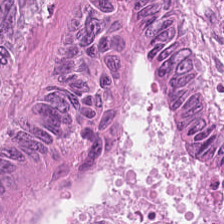0.5 microns per pixel; hematoxylin and eosin — The tissue here is malignant epithelium.
